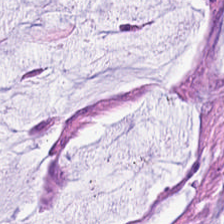FFPE; H&E stain. Impression — extracellular mucin.
